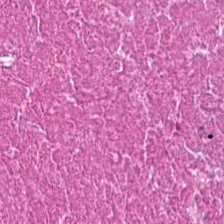H&E-stained tissue section. Q: Identify the tissue.
A: This is debris.
